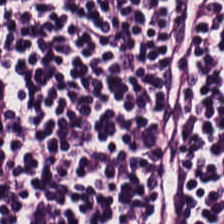H&E stain — This patch shows lymphocytic infiltrate.
